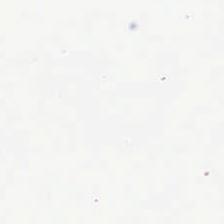0.5 microns per pixel; 224×224 pixel tile; H&E stain.
Classification — background.
